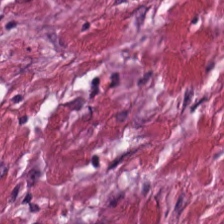H&E-stained tissue section — Predominant tissue: tumor stroma.
